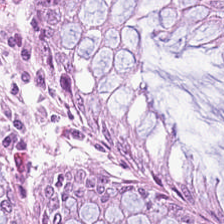0.5 microns per pixel · hematoxylin-and-eosin stained section.
Normal colonic mucosa.
